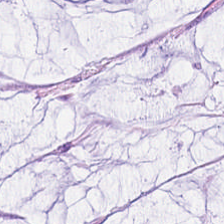Showing mucus.
